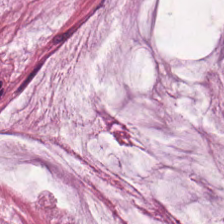20× equivalent magnification. Hematoxylin and eosin — Q: What tissue type is shown here?
A: It is mucus.
